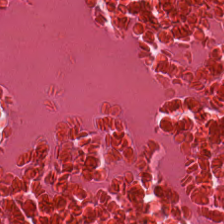Hematoxylin-and-eosin stained section.
This patch shows necrotic debris.
